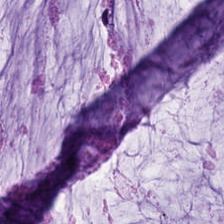Hematoxylin and eosin. 224×224 px tile — {"tissue_type": "mucin"}
